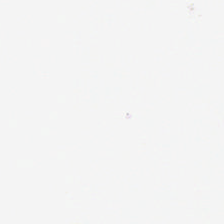Hematoxylin and eosin. Background (no tissue).
